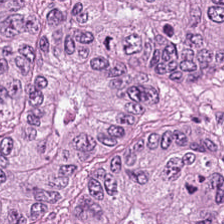FFPE tissue section · H&E. This patch shows colorectal adenocarcinoma.
